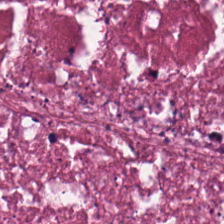H&E stain — The predominant tissue is debris.
